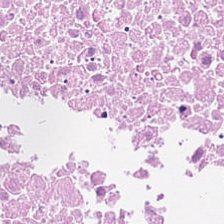Hematoxylin and eosin.
Impression → cellular debris.
